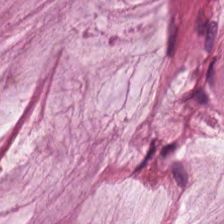H&E. The tissue here is mucin.
